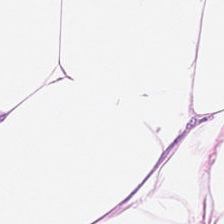Formalin-fixed paraffin-embedded section · hematoxylin-and-eosin stained section.
Q: What does this patch show?
A: It is fat tissue.
